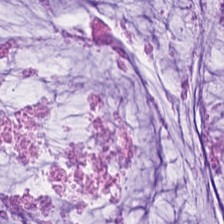Hematoxylin-and-eosin stained section — This patch shows mucus.
